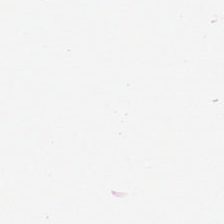Stain: hematoxylin-and-eosin stained section.
Tile size: 224×224 px patch.
Classification: adipose.
